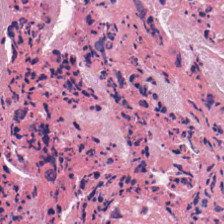H&E-stained tissue section · 224×224 px tile. The tissue is cellular debris.
